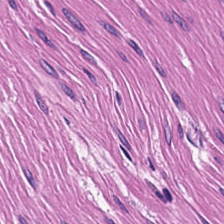H&E-stained tissue section. Smooth muscle.
